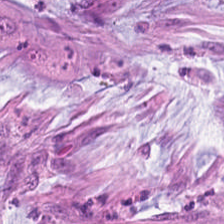H&E. Whole-slide-image patch — Q: What is shown in this field?
A: The field shows extracellular mucin.
